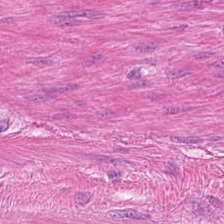Stain: H&E-stained tissue section.
Preparation: FFPE.
Classification: muscularis.
